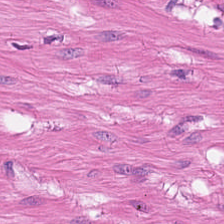Brightfield microscopy · H&E-stained tissue section.
This field is muscularis.
